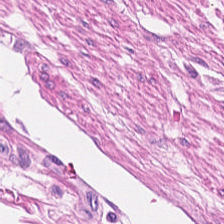Hematoxylin-and-eosin stained section.
Predominantly muscularis.
